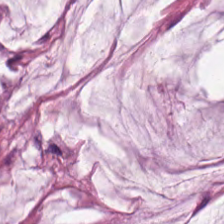Stain: hematoxylin-and-eosin stained section.
Acquisition: brightfield microscopy.
Predominant tissue: extracellular mucin.
